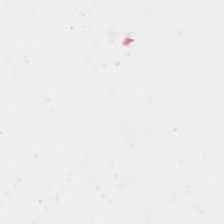Stain: H&E-stained tissue section.
Tile size: 224×224 px patch.
Field content: empty background.
